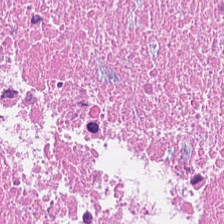Hematoxylin-and-eosin stained section. 224×224 px patch.
Impression — debris.
